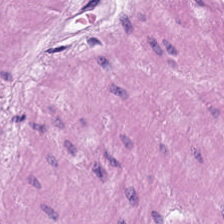Predominant tissue — smooth muscle.
